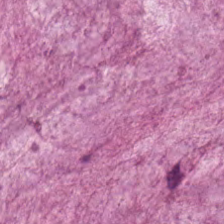Hematoxylin-and-eosin stained section. Showing mucin.
